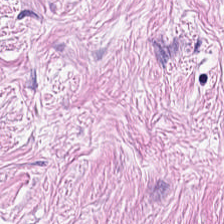{"tissue_type": "cancer-associated stroma"}
